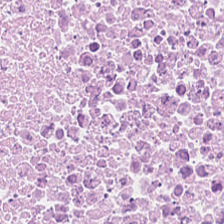H&E-stained section; the field shows cellular debris.
